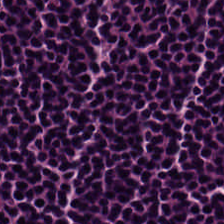Q: What is shown in this field?
A: This is lymphocyte aggregate.
